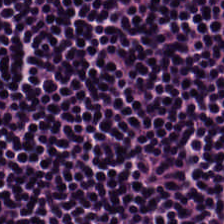Stain: H&E-stained tissue section.
Acquisition: brightfield microscopy.
Resolution: 0.5 microns per pixel.
Classification: lymphoid infiltrate.
